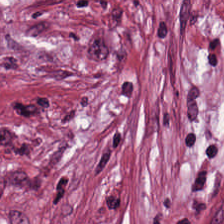H&E stain — The predominant tissue is cancer-associated stroma.
